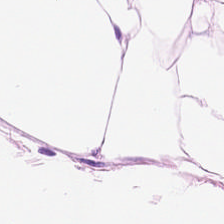FFPE tissue section. WSI patch. H&E — Q: What is the predominant tissue type?
A: This is fat tissue.
